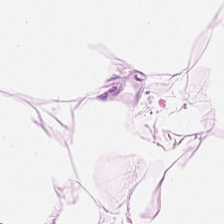Hematoxylin and eosin — Q: What tissue type is shown here?
A: The field shows fat tissue.
